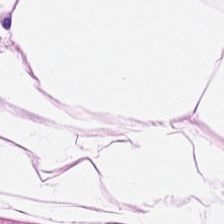Hematoxylin-and-eosin stained section.
Predominantly adipocytes.
